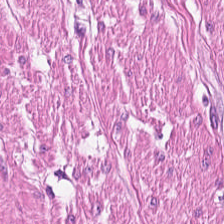Impression — smooth muscle.
